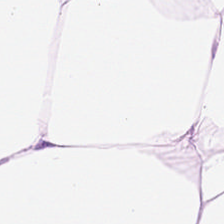Tissue: adipocytes.
